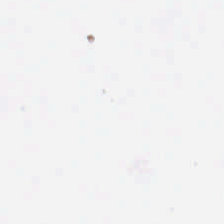Empty field — background.
